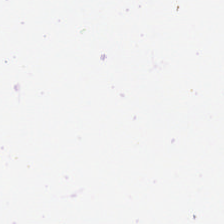H&E stain. Q: What is shown in this field?
A: It is no tissue.
